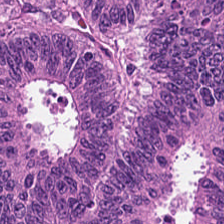Stain: H&E-stained tissue section.
Acquisition: WSI patch.
Predominant tissue: adenocarcinoma.
